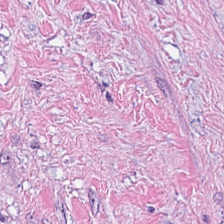H&E · formalin-fixed paraffin-embedded section — Tissue class: tumor-associated stroma.
